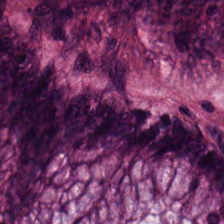Brightfield microscopy · 224×224 px tile · H&E-stained tissue section — The tissue class is non-neoplastic colon mucosa.
